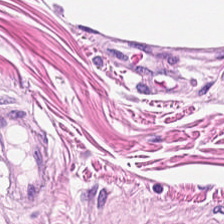H&E. The predominant tissue is smooth muscle.
